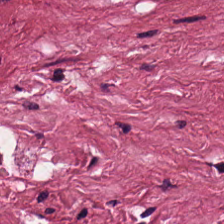Hematoxylin and eosin.
Tissue type — tumor-associated stroma.
